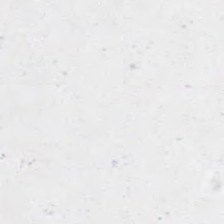Background (no tissue).
